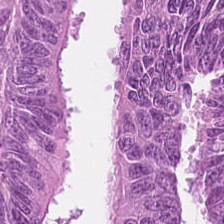Hematoxylin-and-eosin stained section.
Tissue class — colorectal adenocarcinoma epithelium.
